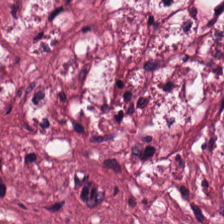Impression → desmoplastic stroma.
